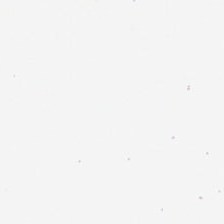Stain: hematoxylin and eosin.
Field content: no tissue.
